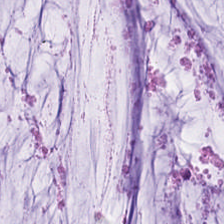FFPE · H&E stain. Q: What tissue type is shown here?
A: The field shows mucin.
